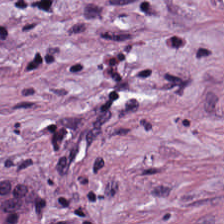Q: What does this patch show?
A: It is tumor-associated stroma.
